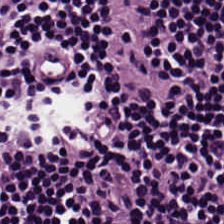Hematoxylin-and-eosin stained section. The tissue class is lymphocytic infiltrate.
